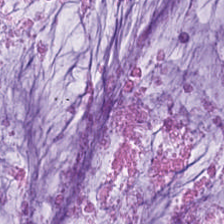H&E. Histology — mucin.
